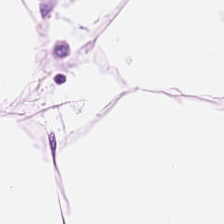H&E — This field is adipose tissue.
